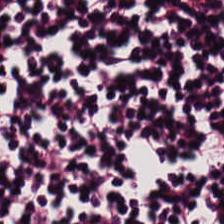H&E stain — Histology → lymphocytes.
